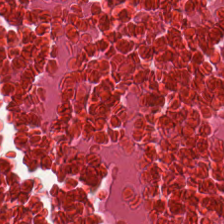H&E.
This patch shows necrotic debris.
